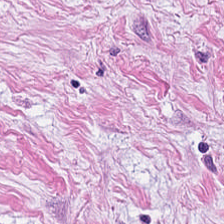Stain: hematoxylin and eosin.
Tissue type: desmoplastic stroma.
